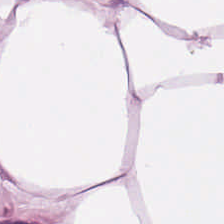Brightfield. 224×224 pixel tile. H&E — Adipose.
